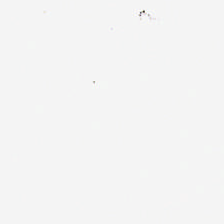Q: What does this patch show?
A: Background (no tissue).
